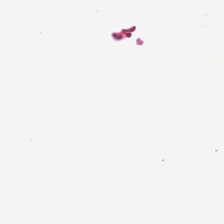Stain: hematoxylin and eosin.
Content: empty background.
